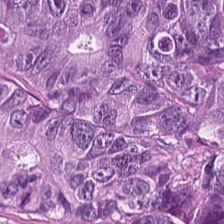Hematoxylin and eosin. Tissue class = adenocarcinoma.
